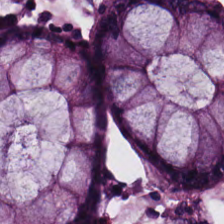Stain: H&E.
Tissue type: normal colonic mucosa.
